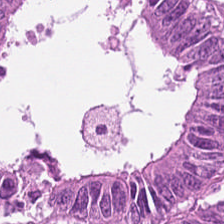H&E-stained tissue section.
Predominantly adenocarcinoma.
